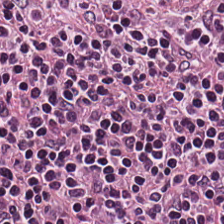Q: What is the predominant tissue type?
A: Lymphocytes.
